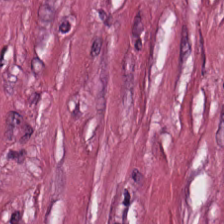Hematoxylin-and-eosin stained section — The predominant tissue is tumor stroma.
